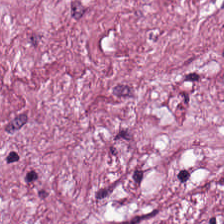H&E — Q: What is shown here?
A: The field shows desmoplastic stroma.
